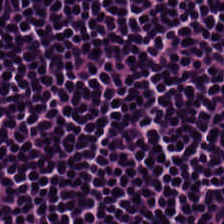0.5 microns per pixel; H&E-stained tissue section. Q: What type of tissue is this?
A: Lymphocyte aggregate.
